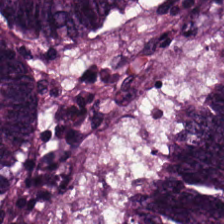H&E-stained section; the field shows adenocarcinoma.
